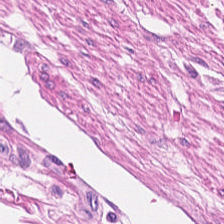H&E stain — Histology → smooth-muscle tissue.
